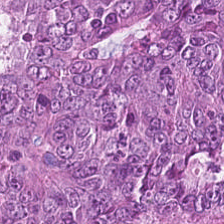Hematoxylin-and-eosin stained section; FFPE tissue section.
Q: What is the predominant tissue type?
A: Colorectal adenocarcinoma epithelium.
